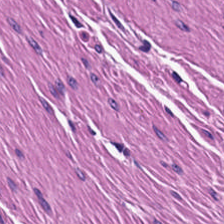H&E stain — Tissue class — smooth-muscle tissue.
